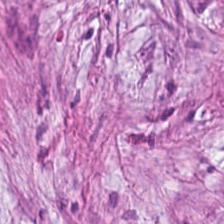0.5 µm/px; H&E stain — This field is cancer-associated stroma.
